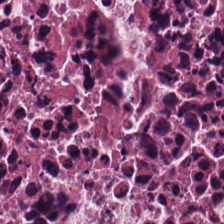0.5 microns per pixel. Hematoxylin-and-eosin stained section. Tissue type = cellular debris.
